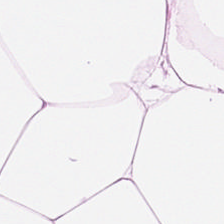H&E stain — This field is adipose tissue.
